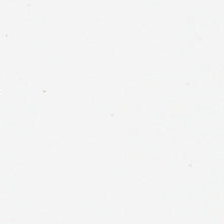Hematoxylin-and-eosin stained section. Background — no tissue in this field.
